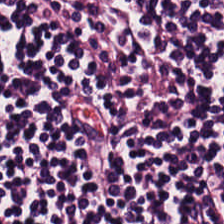H&E stain.
Tissue type = lymphocyte aggregate.
